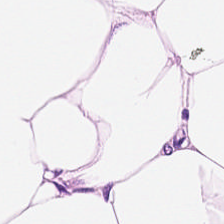224×224 pixel tile · formalin-fixed paraffin-embedded section · H&E stain. Classification = adipose.
